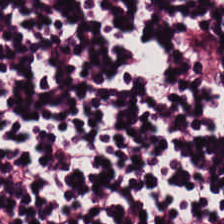FFPE tissue section; hematoxylin and eosin.
Q: What type of tissue is this?
A: It is lymphocytic infiltrate.
